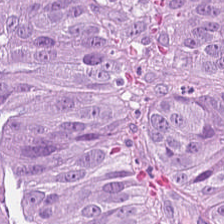H&E-stained tissue section. This patch shows colorectal adenocarcinoma.
